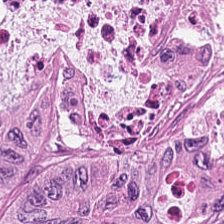Finding — tumor epithelium.
